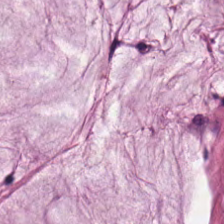Predominantly mucus.
